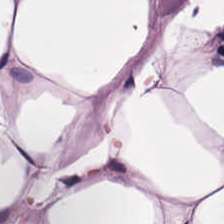H&E. {"tissue_type": "fat tissue"}
